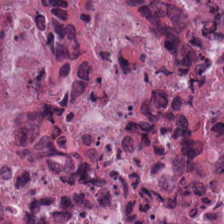FFPE tissue section · hematoxylin-and-eosin stained section.
{"tissue_type": "debris"}
